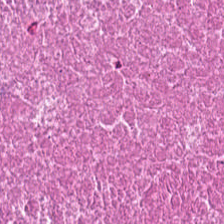FFPE · hematoxylin-and-eosin stained section. The predominant tissue is cellular debris.
